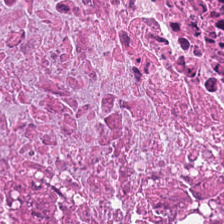Hematoxylin-and-eosin stained section — Necrotic debris.
